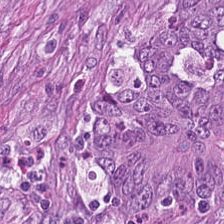Q: What is shown here?
A: This is colorectal adenocarcinoma.
